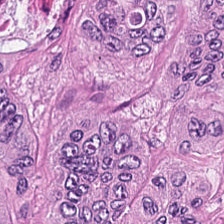Stain: hematoxylin-and-eosin stained section.
Tissue type: adenocarcinoma.
